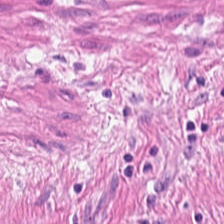20× equivalent magnification. Hematoxylin-and-eosin stained section. 224×224 pixel tile. Q: Classify this patch.
A: Smooth muscle.
